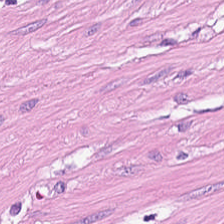H&E — Tissue type = muscularis.
